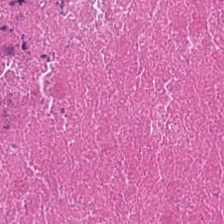H&E stain.
Tissue type = necrotic debris.
